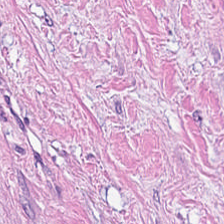Tissue = cancer-associated stroma.
